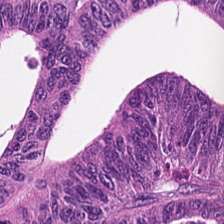H&E stain — {"tissue_type": "colorectal adenocarcinoma"}
